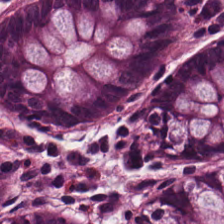Hematoxylin and eosin. 0.5 µm per pixel. Q: What is shown here?
A: This is normal colonic mucosa.
